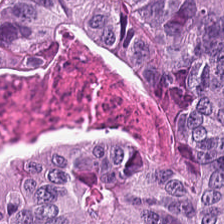Hematoxylin and eosin. 0.5 microns per pixel. Brightfield microscopy.
Predominantly malignant epithelium.
